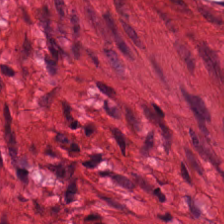H&E-stained tissue section.
Histology → muscularis.
